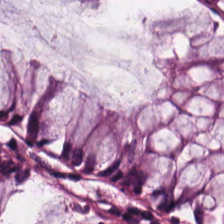H&E stain. The tissue class is benign colonic mucosa.
